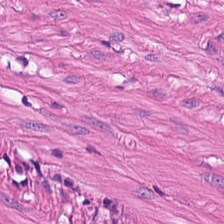Q: What does this patch show?
A: Smooth-muscle tissue.
